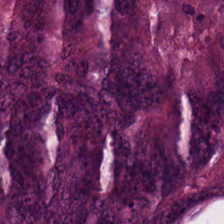H&E stain. Classification = colorectal adenocarcinoma.
